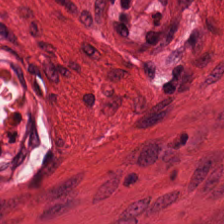Smooth-muscle tissue.
